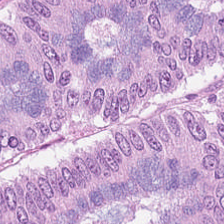The predominant tissue is tumor epithelium.
